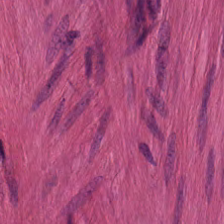224×224 px patch · brightfield microscopy · H&E. The predominant tissue is smooth muscle.
